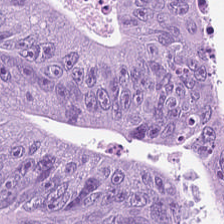Q: What is the predominant tissue type?
A: The field shows adenocarcinoma.
